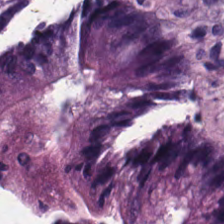Histology — benign colonic mucosa.
